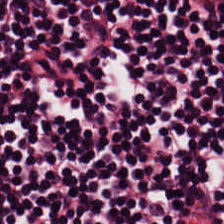Hematoxylin and eosin — Tissue = lymphocytic infiltrate.
